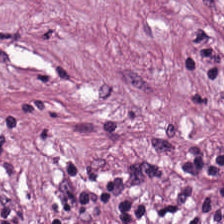Hematoxylin and eosin.
{"tissue_type": "cancer-associated stroma"}
